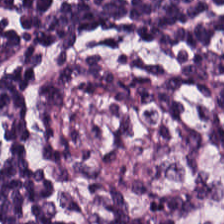Hematoxylin and eosin. This field is lymphocytic infiltrate.
